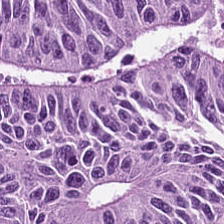H&E-stained tissue section. WSI patch. Q: What tissue type is shown here?
A: It is colorectal adenocarcinoma.
